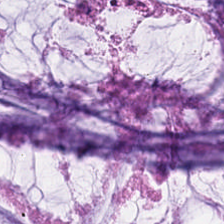H&E. Q: What does this patch show?
A: Mucus.
